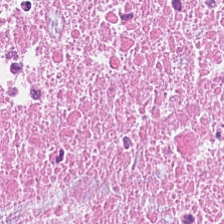H&E stain; brightfield microscopy; FFPE. {"tissue_type": "debris"}
